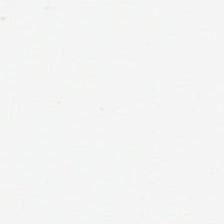H&E.
Impression → background (no tissue).
